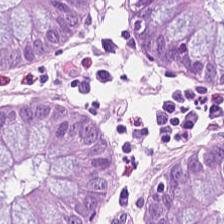Stain: H&E stain.
Predominant tissue: normal colon mucosa.
